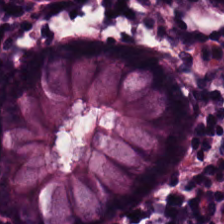Finding — benign colonic mucosa.
